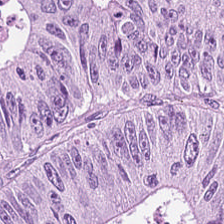H&E — Predominant tissue — malignant epithelium.
